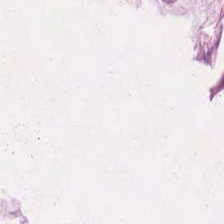H&E. 224×224 pixel tile. Finding — mucin.
